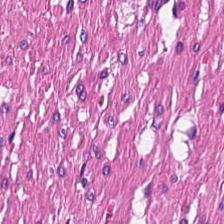H&E-stained tissue section.
Q: What is the predominant tissue type?
A: This is smooth muscle.
